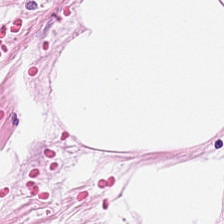H&E.
This patch shows adipocytes.
